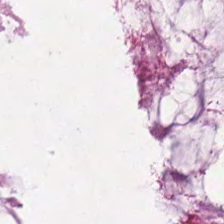H&E-stained tissue section — Q: What tissue is shown?
A: The field shows mucin.
